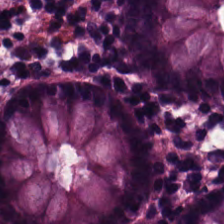H&E-stained tissue section.
Finding → normal colon mucosa.
